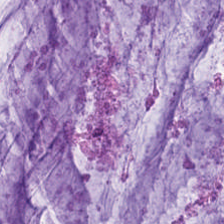Brightfield microscopy. Hematoxylin-and-eosin stained section. The tissue here is mucin.
